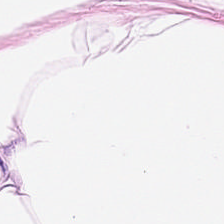Q: What is shown in this field?
A: It is adipose tissue.
